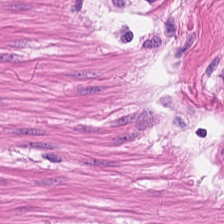Histology → smooth muscle.
